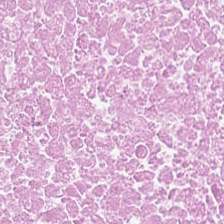224×224 px patch. H&E. Finding — cellular debris.
